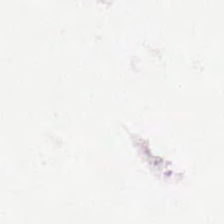Background — no tissue in this field.
